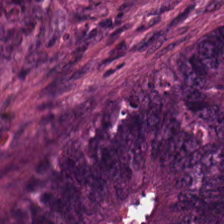Hematoxylin and eosin · FFPE · 0.5 µm per pixel.
{"tissue_type": "colorectal adenocarcinoma"}
